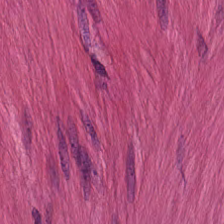Hematoxylin-and-eosin stained section — Histology — smooth muscle.
